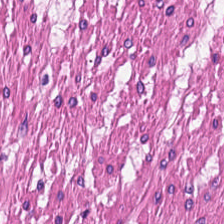Hematoxylin and eosin — Predominantly muscularis.
